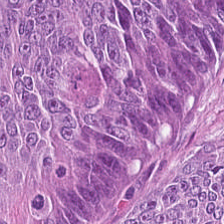Brightfield; H&E-stained tissue section — Tissue class — colorectal adenocarcinoma.
